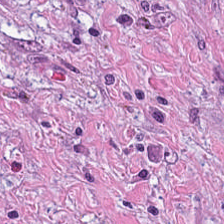224×224 pixel tile. Hematoxylin and eosin.
Tissue type = cancer-associated stroma.
